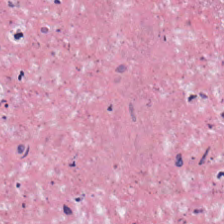H&E-stained section; the field shows cellular debris.
